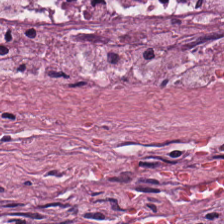Histology → tumor stroma.
